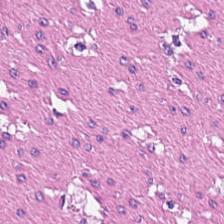Hematoxylin and eosin. Q: What tissue type is shown here?
A: This is muscularis.
